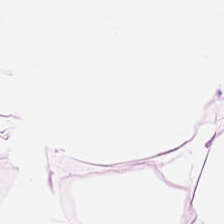Showing adipose tissue.
